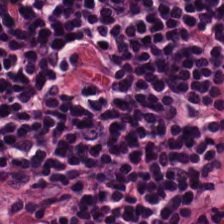Classification = lymphoid infiltrate.
